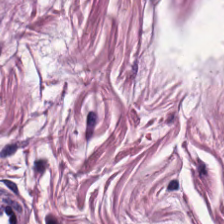Hematoxylin-and-eosin stained section — Finding → smooth-muscle tissue.
